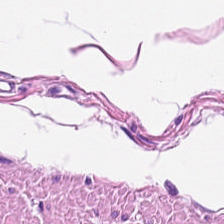H&E-stained tissue section. 0.5 µm per pixel. 224×224 px patch. Q: What is the predominant tissue type?
A: Smooth-muscle tissue.
